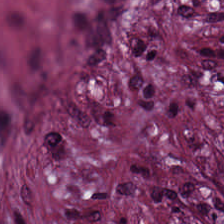Hematoxylin-and-eosin stained section; 224×224 pixel tile. The tissue is cancer-associated stroma.
